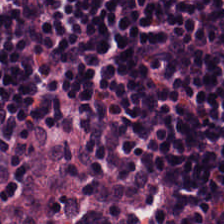Hematoxylin-and-eosin stained section — Predominantly lymphocytes.
